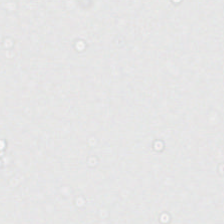Stain: H&E stain.
Field content: background (no tissue).
